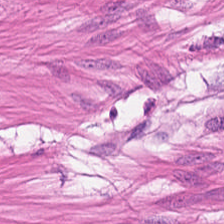H&E patch showing smooth muscle.
